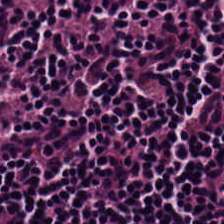Stain: hematoxylin and eosin.
Predominant tissue: lymphocytes.
